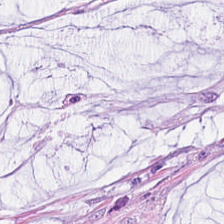H&E stain. The tissue here is mucin.
